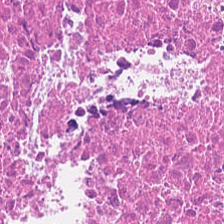Stain: H&E stain.
Predominant tissue: cellular debris.
